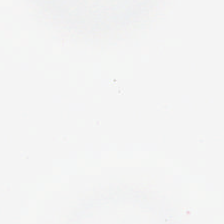20× equivalent magnification · hematoxylin and eosin. This patch shows background.
